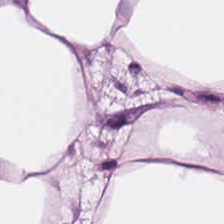The tissue here is adipose.
